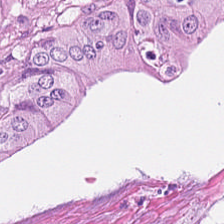H&E-stained tissue section — Tissue class = tumor epithelium.
